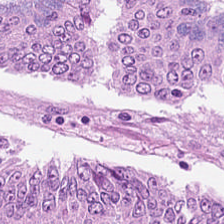Hematoxylin-and-eosin stained section — The tissue here is tumor epithelium.
